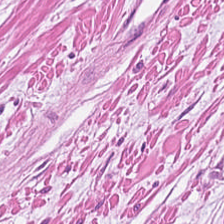Brightfield microscopy · hematoxylin and eosin · formalin-fixed paraffin-embedded section. Q: What is shown here?
A: It is muscularis.
